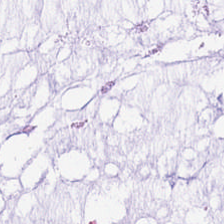Hematoxylin and eosin.
Showing mucus.
